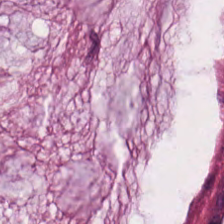WSI patch · H&E · 224×224 px patch. Extracellular mucin.
